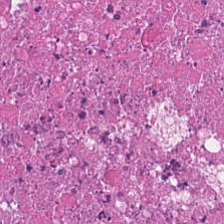H&E. The tissue is necrotic debris.
